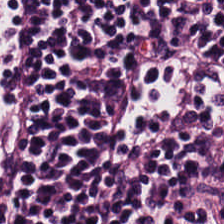224×224 pixel tile; hematoxylin-and-eosin stained section. Classification = lymphoid infiltrate.
